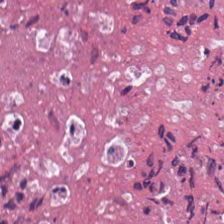Impression — debris.
